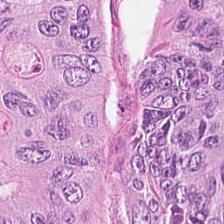Formalin-fixed paraffin-embedded section. Brightfield microscopy. Hematoxylin and eosin — Tissue class — adenocarcinoma.
